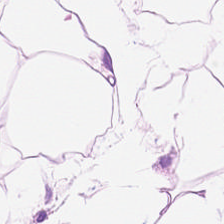224×224 px tile · H&E stain — Predominantly adipocytes.
